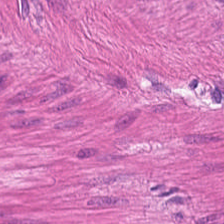Formalin-fixed paraffin-embedded section · hematoxylin and eosin.
Tissue class = smooth muscle.
